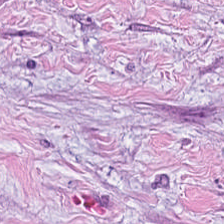Hematoxylin and eosin. FFPE — Q: What is shown here?
A: It is tumor stroma.
